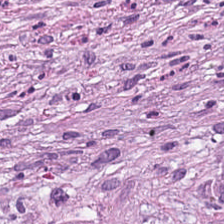H&E. This field is tumor-associated stroma.
